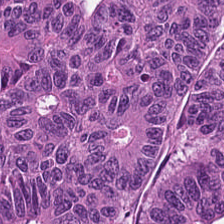224×224 pixel tile; 0.5 microns per pixel; H&E. Q: What is shown here?
A: The field shows malignant epithelium.
